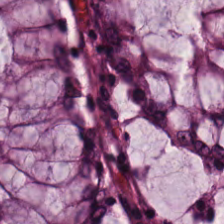Hematoxylin-and-eosin stained section — Classification: benign colonic mucosa.
